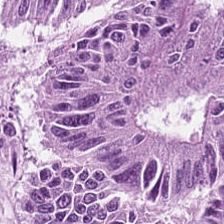The predominant tissue is adenocarcinoma.
